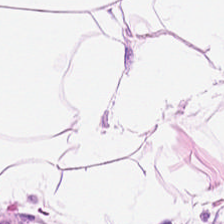Hematoxylin and eosin. Histology — adipose.
